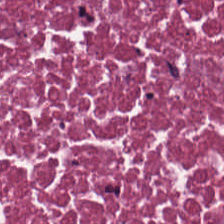H&E-stained tissue section. The predominant tissue is cellular debris.
